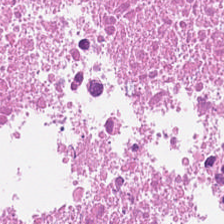224×224 pixel tile · H&E — Q: What is shown in this field?
A: The field shows debris.
